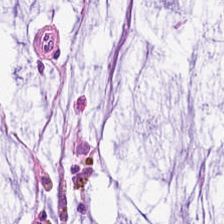H&E-stained tissue section. {"tissue_type": "mucus"}
